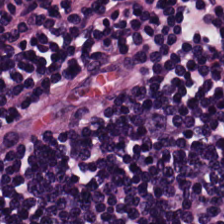H&E-stained tissue section; whole-slide-image patch — This patch shows lymphocytes.
